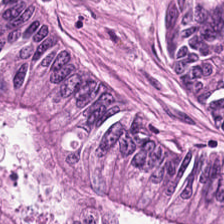Hematoxylin-and-eosin stained section; 0.5 microns per pixel. Q: Classify this patch.
A: Colorectal adenocarcinoma epithelium.
